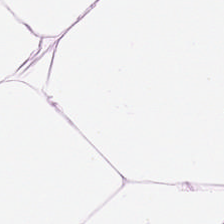Stain: H&E.
Tissue type: adipose tissue.
